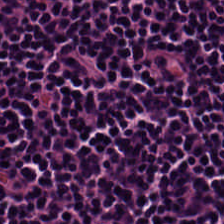H&E.
Tissue: lymphocytes.
